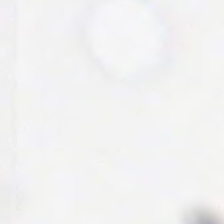Formalin-fixed paraffin-embedded section. Hematoxylin and eosin — Background.
